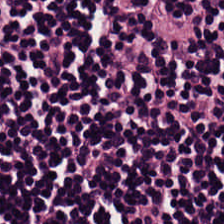0.5 microns per pixel · H&E-stained tissue section · FFPE.
The tissue here is lymphoid infiltrate.
